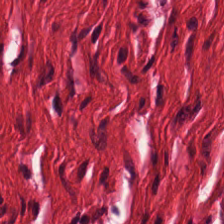H&E stain.
{"tissue_type": "smooth-muscle tissue"}
